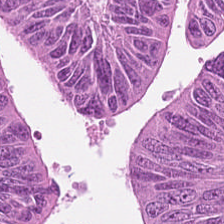H&E-stained tissue section · formalin-fixed paraffin-embedded section — Classification: adenocarcinoma.
